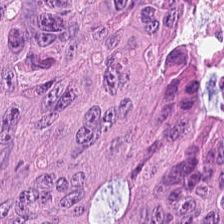Predominant tissue: tumor epithelium.
